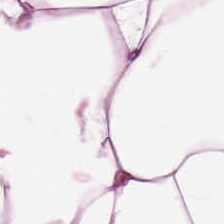H&E stain.
The predominant tissue is adipose.
